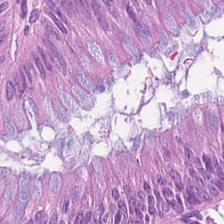H&E-stained tissue section; 224×224 px tile; FFPE tissue section.
Q: What is shown here?
A: The field shows malignant epithelium.
